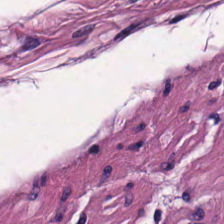H&E — {"tissue_type": "muscularis"}
